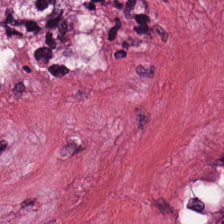Q: Classify this patch.
A: It is desmoplastic stroma.
